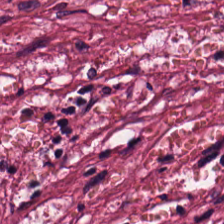Stain: H&E.
Tissue type: desmoplastic stroma.
